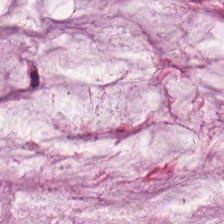Hematoxylin-and-eosin stained section. Predominantly mucin.
